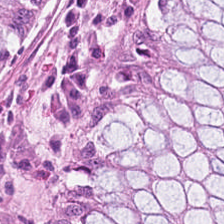Predominant tissue: normal colon mucosa.
